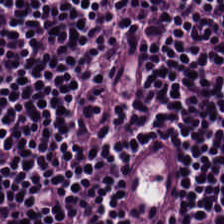Stain: H&E stain.
Preparation: FFPE.
Acquisition: WSI patch.
Tissue: lymphocyte aggregate.
